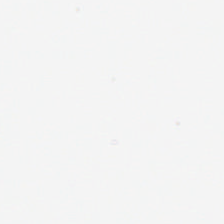Q: What is shown here?
A: Background.
